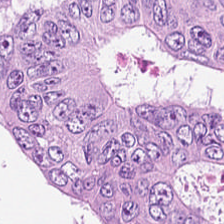Hematoxylin and eosin. This field is malignant epithelium.
